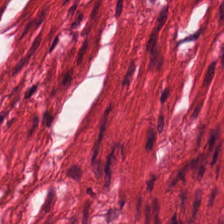H&E stain — Tissue class = smooth-muscle tissue.
